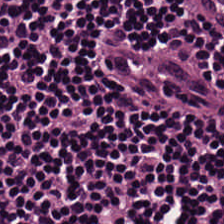Hematoxylin-and-eosin stained section · 0.5 microns per pixel.
Histology — lymphocytes.
